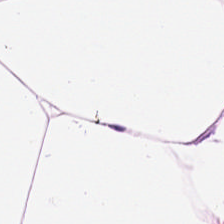224×224 px tile; H&E-stained tissue section — Adipose tissue.
